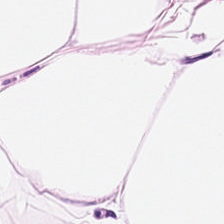H&E. Q: Classify this patch.
A: The field shows adipose.
